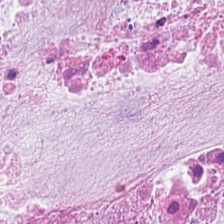Q: Classify this patch.
A: The field shows extracellular mucin.
